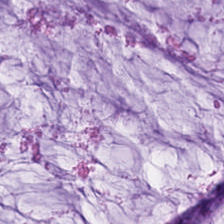Formalin-fixed paraffin-embedded section · hematoxylin-and-eosin stained section — {"tissue_type": "mucus"}
